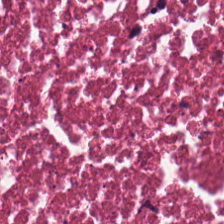Q: What tissue is shown?
A: This is cellular debris.
